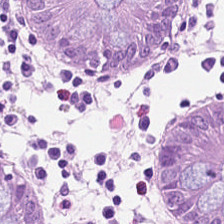Q: Classify this patch.
A: It is normal colon mucosa.
